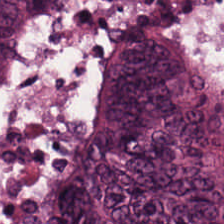H&E-stained tissue section — Tissue class = colorectal adenocarcinoma.
